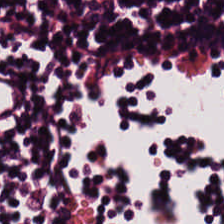Hematoxylin-and-eosin stained section · 224×224 pixel tile · 0.5 µm/px — Finding → lymphoid infiltrate.
